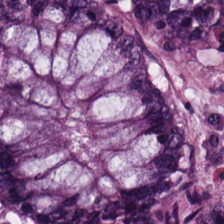The classification is non-neoplastic colon mucosa.
